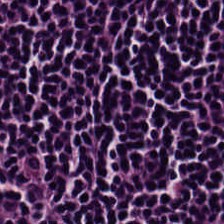Tissue: lymphocytes.
